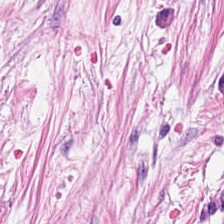FFPE. H&E-stained tissue section.
Q: What does this patch show?
A: This is tumor stroma.
